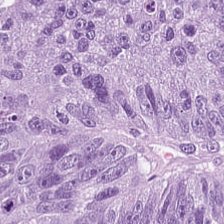Brightfield microscopy; H&E stain. Finding → adenocarcinoma.
